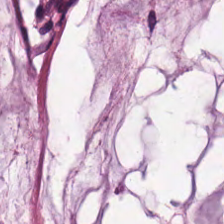224×224 px patch; hematoxylin and eosin. Showing mucus.
